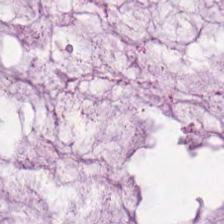{"tissue_type": "mucus"}
